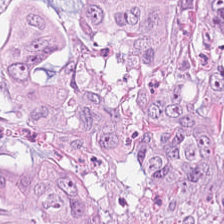H&E-stained tissue section showing tumor epithelium.
